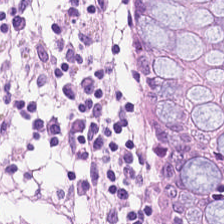Hematoxylin-and-eosin stained section · 0.5 µm per pixel — Q: Identify the tissue.
A: The field shows non-neoplastic colon mucosa.
